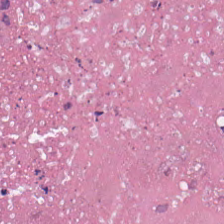224×224 px patch. H&E-stained tissue section — The predominant tissue is debris.
